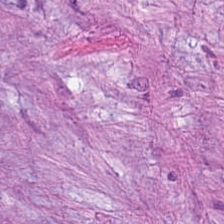Hematoxylin and eosin.
Q: What is shown in this field?
A: This is desmoplastic stroma.
